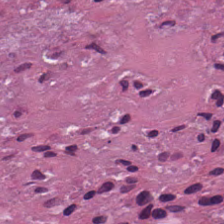Stain: H&E-stained tissue section.
Tissue class: cellular debris.
